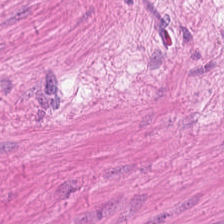Formalin-fixed paraffin-embedded section; H&E stain — Q: Identify the tissue.
A: The field shows muscularis.
